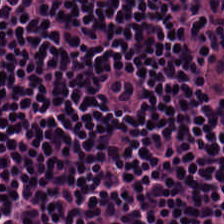H&E.
The predominant tissue is lymphoid infiltrate.
